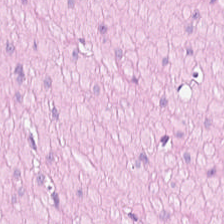H&E stain — The classification is smooth-muscle tissue.
